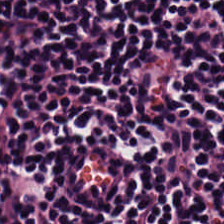FFPE · H&E — Predominantly lymphocyte aggregate.
